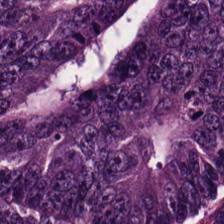Tissue type = malignant epithelium.
